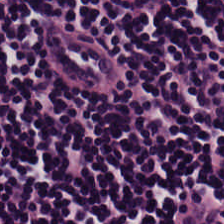H&E-stained tissue section.
Classification — lymphocytic infiltrate.
